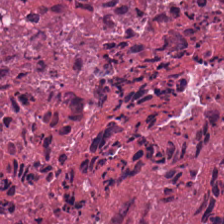The tissue class is cellular debris.
